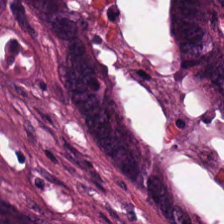Hematoxylin-and-eosin stained section. FFPE tissue section. Brightfield microscopy. The tissue class is colorectal adenocarcinoma epithelium.
